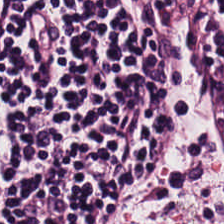Brightfield · H&E · formalin-fixed paraffin-embedded section. {"tissue_type": "lymphocytes"}
